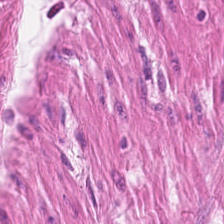224×224 px tile; H&E-stained tissue section; brightfield. This field is smooth muscle.
